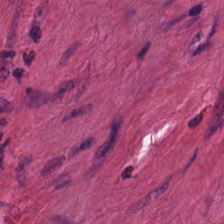The tissue here is muscularis.
